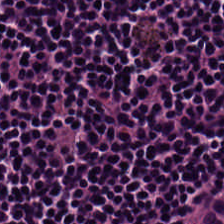H&E-stained tissue section. Brightfield microscopy. 0.5 µm/px. Finding → lymphocytes.
